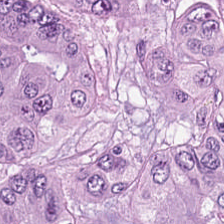WSI patch · H&E-stained tissue section.
Showing malignant epithelium.
